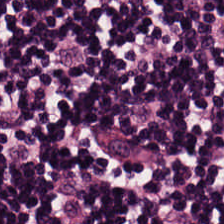H&E stain — Q: What is the predominant tissue type?
A: The field shows lymphocytes.
